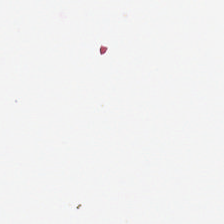Hematoxylin and eosin · 0.5 microns per pixel.
Content — no tissue.
